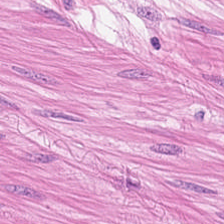H&E stain. 224×224 px patch — Q: What tissue is shown?
A: Smooth muscle.
